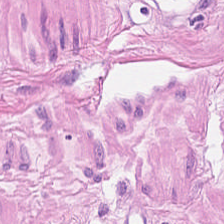Tissue type — smooth-muscle tissue.
